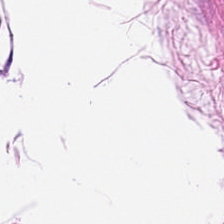H&E stain · WSI patch. Finding → adipocytes.
